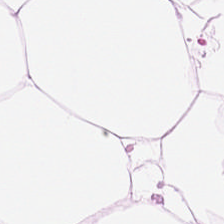Hematoxylin and eosin; FFPE tissue section — The predominant tissue is adipose.
